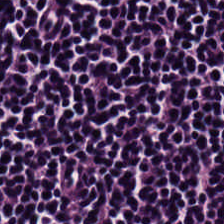Stain: H&E-stained tissue section.
Tissue: lymphocytic infiltrate.
